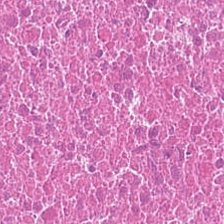Formalin-fixed paraffin-embedded section; 224×224 px patch; H&E stain — Q: Identify the tissue.
A: Debris.
